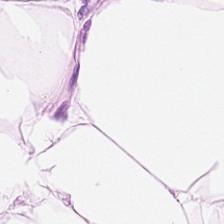Hematoxylin-and-eosin stained section. Q: What does this patch show?
A: This is adipose tissue.
